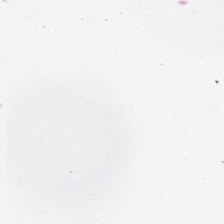H&E-stained tissue section.
{"content": "no tissue"}
